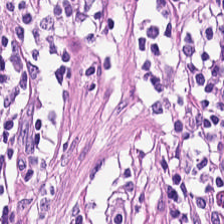H&E patch showing lymphocyte aggregate.
